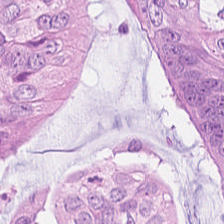H&E stain · 224×224 px tile. This patch shows colorectal adenocarcinoma epithelium.
